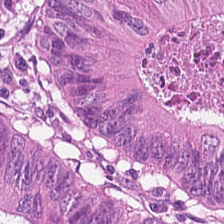Hematoxylin and eosin. Brightfield. 224×224 pixel tile. Tissue — colorectal adenocarcinoma epithelium.
